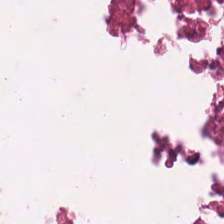Predominant tissue = cellular debris.
